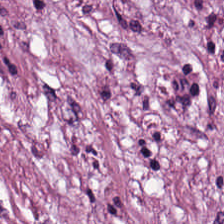224×224 px tile; FFPE; hematoxylin and eosin — Q: What type of tissue is this?
A: This is desmoplastic stroma.
